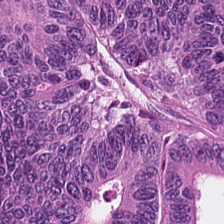H&E-stained tissue section.
The predominant tissue is malignant epithelium.
